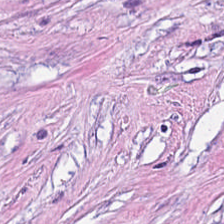{"tissue_type": "desmoplastic stroma"}
